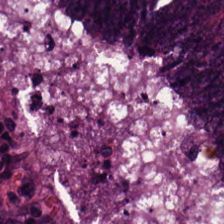Q: Identify the tissue.
A: It is adenocarcinoma.
